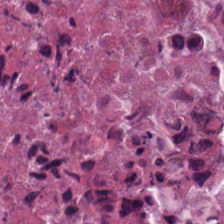H&E-stained tissue section. Tissue — cellular debris.
